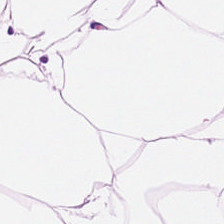0.5 µm per pixel · hematoxylin-and-eosin stained section — This field is adipocytes.
